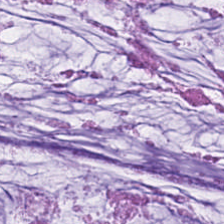Finding — mucus.
